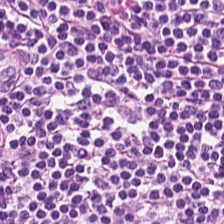Tissue class = lymphoid infiltrate.
